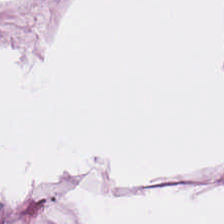Hematoxylin-and-eosin stained section. The tissue here is adipose.
